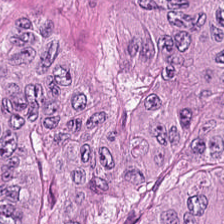H&E-stained tissue section.
This field is malignant epithelium.
